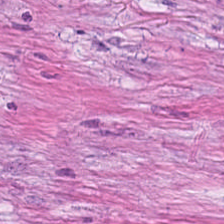H&E. Q: What is shown in this field?
A: It is cancer-associated stroma.
